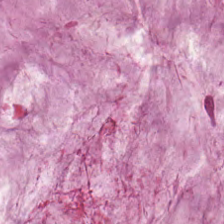Whole-slide-image patch. H&E. Classification — mucus.
